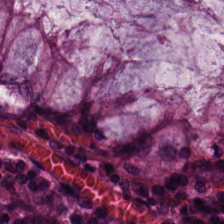Hematoxylin and eosin.
Q: What is shown here?
A: Normal colonic mucosa.
